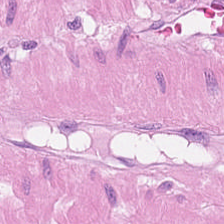Stain: H&E-stained tissue section.
Resolution: 20× equivalent magnification.
Classification: smooth muscle.
